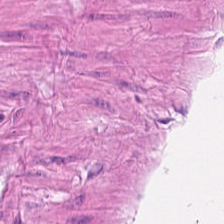0.5 microns per pixel; brightfield; H&E. Predominantly smooth muscle.
